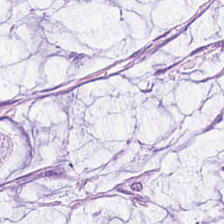H&E — extracellular mucin.
